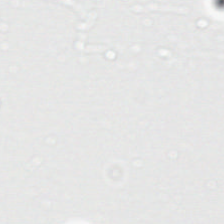H&E; 224×224 pixel tile.
Histology — background (no tissue).
